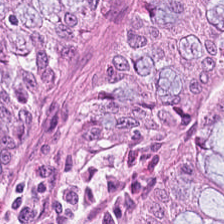H&E stain.
Q: What is the predominant tissue type?
A: The field shows normal colonic mucosa.
